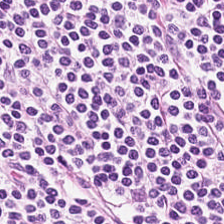Q: Identify the tissue.
A: Lymphocyte aggregate.
